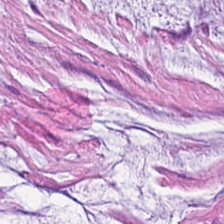H&E stain.
Tissue type — mucin.
